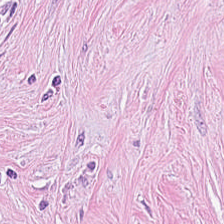H&E · WSI patch — Finding — cancer-associated stroma.
